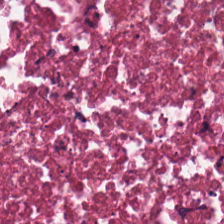Classification: cellular debris.
